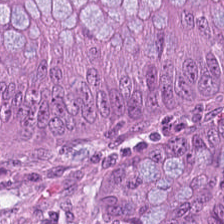H&E-stained tissue section — Impression — malignant epithelium.
